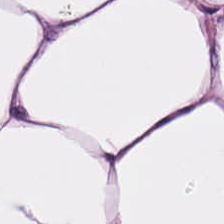Finding — adipocytes.
